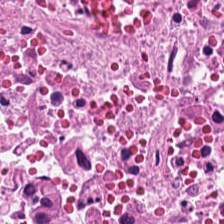H&E. Q: What is shown in this field?
A: Cellular debris.
